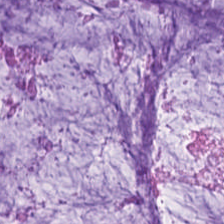Stain: hematoxylin and eosin.
Resolution: 0.5 microns per pixel.
Tile size: 224×224 px tile.
Tissue: extracellular mucin.
